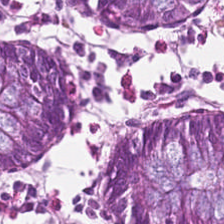224×224 px patch. H&E stain. Brightfield microscopy. Classification = normal colon mucosa.
